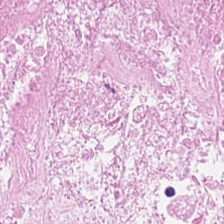H&E — Q: What tissue type is shown here?
A: This is debris.
